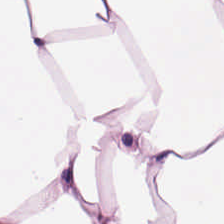Hematoxylin and eosin — Q: What is the predominant tissue type?
A: Adipose.
